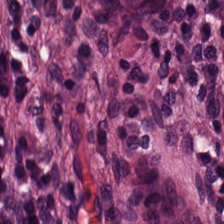Hematoxylin-and-eosin stained section. FFPE tissue section — Q: What is shown here?
A: It is normal colon mucosa.
